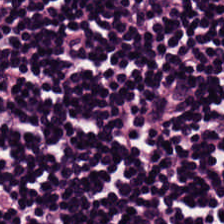H&E stain — Q: What does this patch show?
A: The field shows lymphocyte aggregate.
